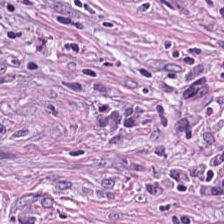This field is tumor-associated stroma.
